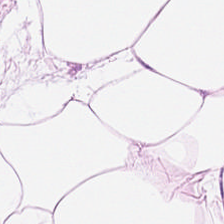Stain: hematoxylin and eosin.
Classification: adipocytes.
